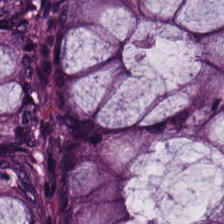Stain: H&E.
Tissue: normal colonic mucosa.
